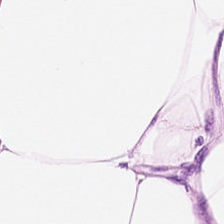H&E stain — Finding → adipose.
